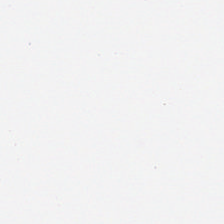Hematoxylin-and-eosin stained section.
Background — no tissue in this field.
